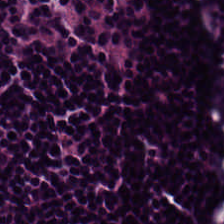224×224 px patch · H&E stain. The tissue here is lymphocytic infiltrate.
